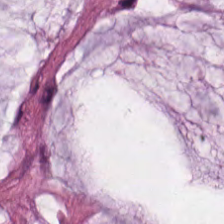Hematoxylin and eosin — Q: What is shown here?
A: This is mucin.
